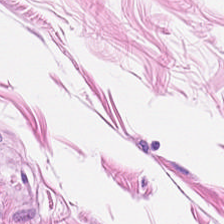H&E — muscularis.
